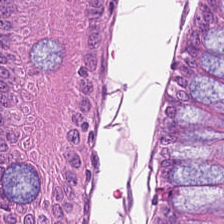H&E-stained tissue section; formalin-fixed paraffin-embedded section — Classification: normal colon mucosa.
